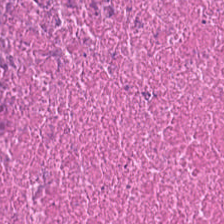H&E stain · 0.5 µm per pixel — Impression — cellular debris.
